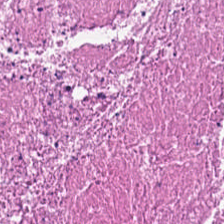Hematoxylin and eosin. FFPE. Q: What is shown here?
A: Cellular debris.
